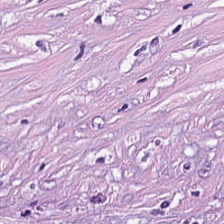Stain: H&E.
Acquisition: brightfield.
Predominant tissue: tumor-associated stroma.
